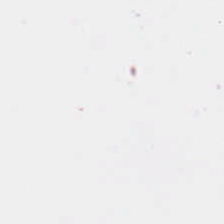Hematoxylin and eosin.
Content = background.
